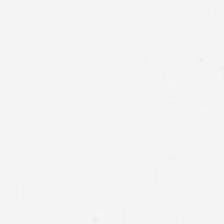Hematoxylin and eosin.
Q: What does this patch show?
A: No tissue.
